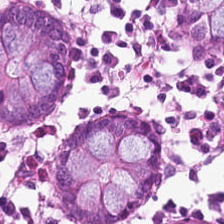This field is normal colonic mucosa.
